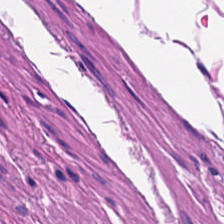H&E. Formalin-fixed paraffin-embedded section — Q: What is shown in this field?
A: This is smooth muscle.
